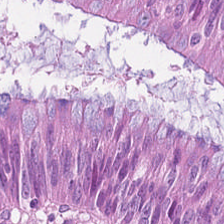Hematoxylin and eosin. Impression — colorectal adenocarcinoma epithelium.
